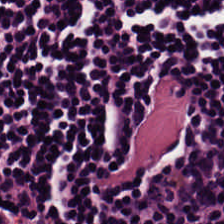H&E-stained tissue section · FFPE tissue section · whole-slide-image patch — Tissue class: lymphocytes.
